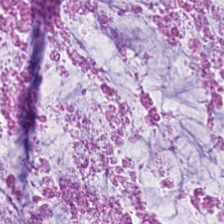Hematoxylin-and-eosin stained section. FFPE — Q: What is the predominant tissue type?
A: The field shows extracellular mucin.
